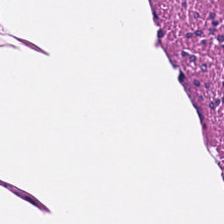FFPE · H&E-stained tissue section — Predominantly smooth-muscle tissue.
